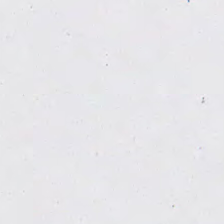Hematoxylin and eosin · FFPE. Histology — no tissue.
